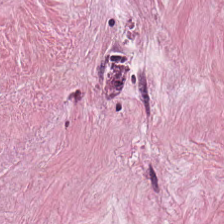H&E stain.
Showing cancer-associated stroma.
